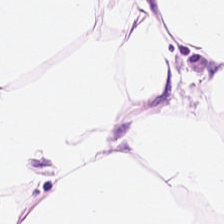224×224 pixel tile · hematoxylin-and-eosin stained section.
This field is adipose tissue.
